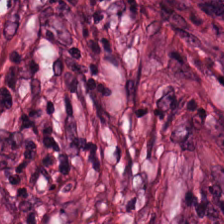The tissue is desmoplastic stroma.
